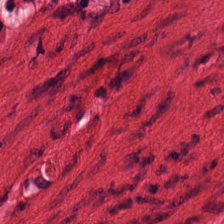Hematoxylin-and-eosin stained section — {"tissue_type": "smooth-muscle tissue"}
